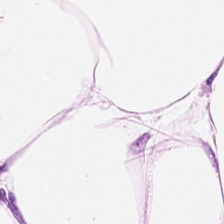20× equivalent magnification · hematoxylin-and-eosin stained section — {"tissue_type": "adipose"}
